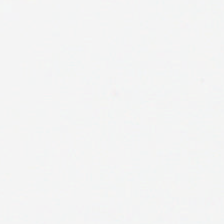H&E stain; brightfield — Q: What is shown here?
A: It is background.
